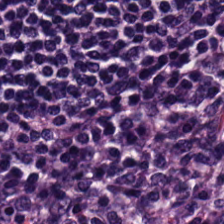Hematoxylin-and-eosin stained section.
The predominant tissue is lymphocytic infiltrate.
